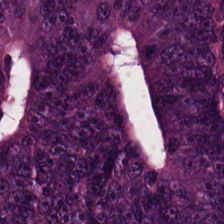H&E stain.
Predominant tissue: colorectal adenocarcinoma.
